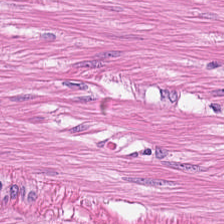WSI patch; hematoxylin and eosin.
Showing smooth-muscle tissue.
